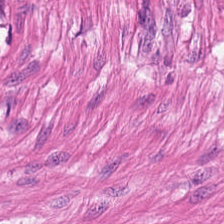H&E-stained tissue section. FFPE tissue section. The classification is smooth-muscle tissue.
